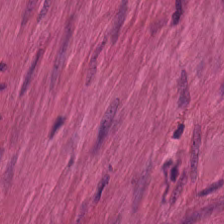H&E; 224×224 px patch.
Smooth-muscle tissue.
